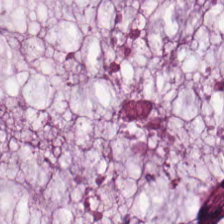Brightfield microscopy; hematoxylin and eosin; 0.5 µm per pixel.
Classification — extracellular mucin.
